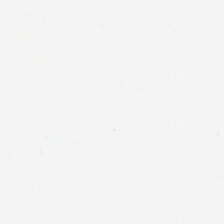WSI patch. Hematoxylin and eosin — Q: Classify this patch.
A: This is background (no tissue).
